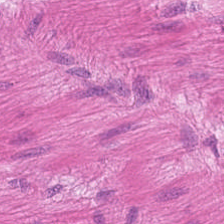The tissue is smooth-muscle tissue.
